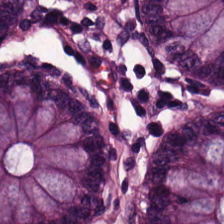FFPE tissue section; H&E. Normal colon mucosa.
